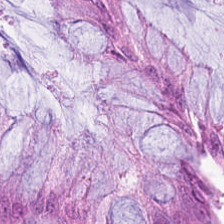224×224 pixel tile; H&E. The tissue here is non-neoplastic colon mucosa.
